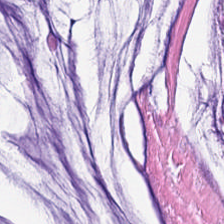H&E-stained tissue section · formalin-fixed paraffin-embedded section.
Q: Classify this patch.
A: It is extracellular mucin.
